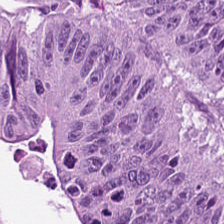20× equivalent magnification; H&E-stained tissue section. This field is adenocarcinoma.
